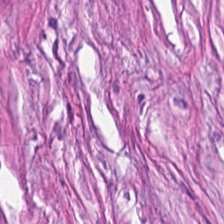224×224 pixel tile. Hematoxylin-and-eosin stained section.
Q: What type of tissue is this?
A: This is tumor stroma.
